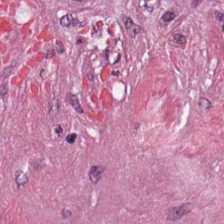Stain: H&E-stained tissue section.
Tissue type: cancer-associated stroma.
